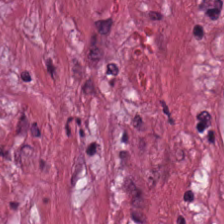Desmoplastic stroma.
